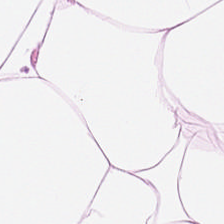H&E; 224×224 px patch.
Q: What type of tissue is this?
A: The field shows adipose tissue.
